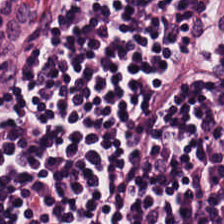Hematoxylin-and-eosin stained section · 0.5 microns per pixel.
Classification: lymphoid infiltrate.
